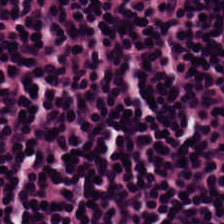H&E stain — Tissue: lymphocyte aggregate.
